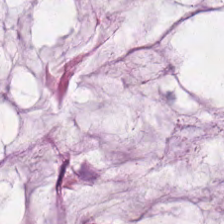The tissue here is mucin.
